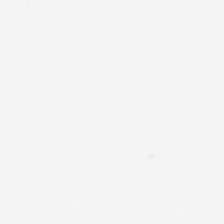Stain: H&E-stained tissue section.
Field content: background (no tissue).
